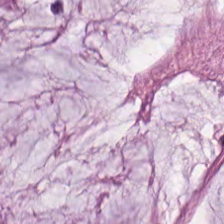H&E stain. Q: What tissue type is shown here?
A: The field shows extracellular mucin.
